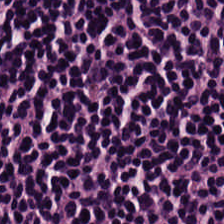WSI patch; H&E; 224×224 px tile.
Q: What does this patch show?
A: It is lymphocyte aggregate.
